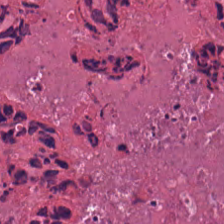Hematoxylin and eosin. Histology → cellular debris.
